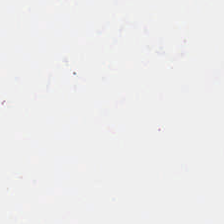Hematoxylin-and-eosin stained section · 224×224 pixel tile. Background (no tissue).
